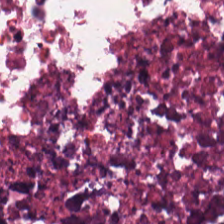H&E stain · formalin-fixed paraffin-embedded section.
Predominantly necrotic debris.
